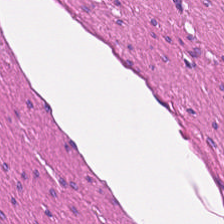Hematoxylin-and-eosin stained section. Finding → smooth-muscle tissue.
